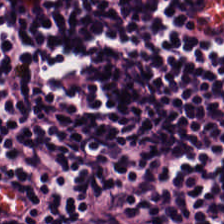0.5 µm per pixel. Hematoxylin and eosin. Q: What does this patch show?
A: It is lymphoid infiltrate.
